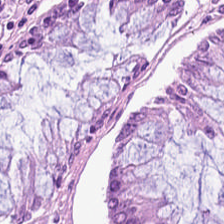Hematoxylin and eosin · formalin-fixed paraffin-embedded section. Showing normal colon mucosa.
